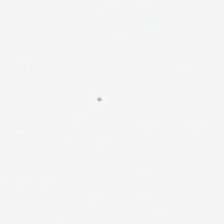H&E-stained tissue section — Empty field — background (no tissue).
